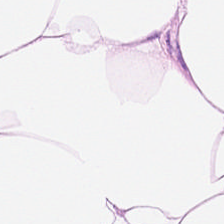Hematoxylin-and-eosin stained section — Predominantly adipose tissue.
